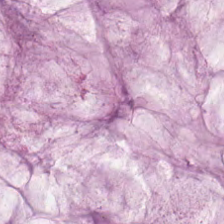Stain: hematoxylin and eosin.
Tissue class: extracellular mucin.
